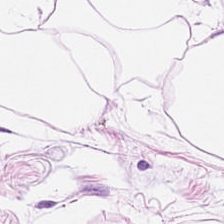H&E · whole-slide-image patch · 224×224 px patch. Predominantly fat tissue.
